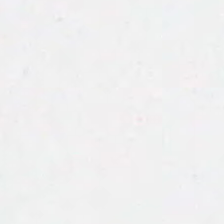H&E-stained tissue section. The classification is background (no tissue).
